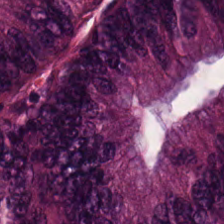Brightfield microscopy · H&E stain — {"tissue_type": "tumor epithelium"}
